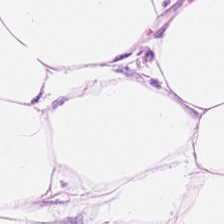Hematoxylin-and-eosin stained section — The classification is adipose tissue.
